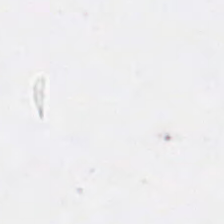Stain: H&E-stained tissue section.
Tile size: 224×224 px tile.
Classification: background.
